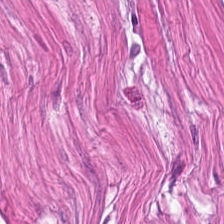H&E — Showing smooth-muscle tissue.
